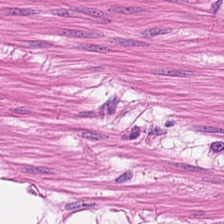H&E stain; 0.5 microns per pixel.
Classification = smooth-muscle tissue.
